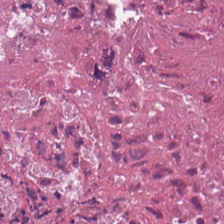H&E — The predominant tissue is cellular debris.
